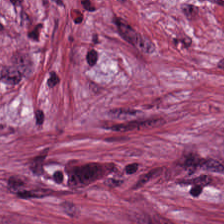0.5 µm/px; formalin-fixed paraffin-embedded section; H&E-stained tissue section.
{"tissue_type": "cancer-associated stroma"}
